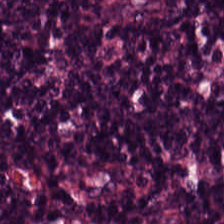WSI patch; H&E — Q: What type of tissue is this?
A: It is lymphocytes.
